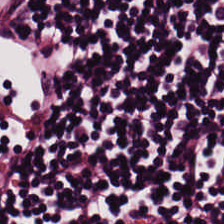Tissue class — lymphocyte aggregate.
